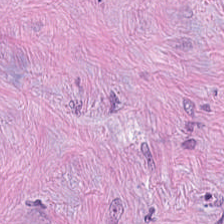Hematoxylin and eosin — This field is tumor-associated stroma.
